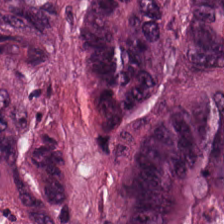H&E stain · 0.5 µm per pixel — Classification: colorectal adenocarcinoma epithelium.
